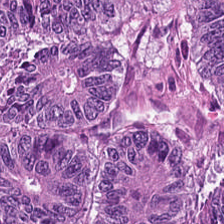Q: Identify the tissue.
A: This is malignant epithelium.
